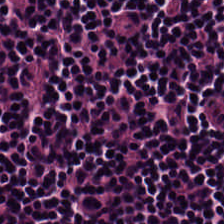Q: What type of tissue is this?
A: This is lymphocytes.
